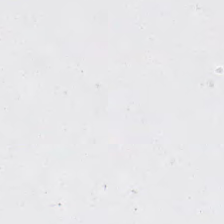Empty field — no tissue.
